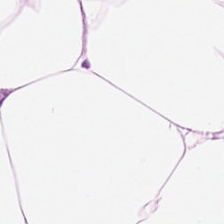Stain: H&E stain.
Tile size: 224×224 px tile.
Classification: fat tissue.
